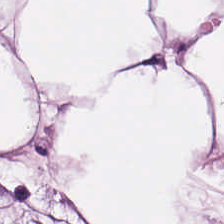Tissue — fat tissue.
